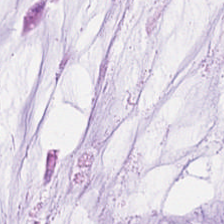Predominantly mucus.
